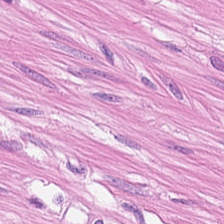H&E stain; 20× equivalent magnification — Predominant tissue: muscularis.
